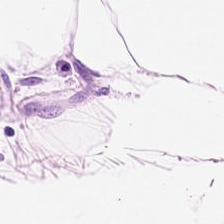224×224 px tile · H&E-stained tissue section — Q: What does this patch show?
A: This is fat tissue.
